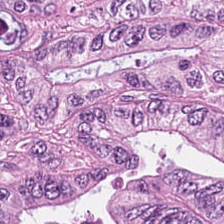Impression — tumor epithelium.
